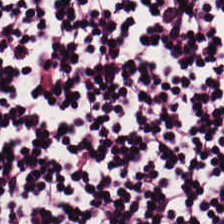Showing lymphocyte aggregate.
